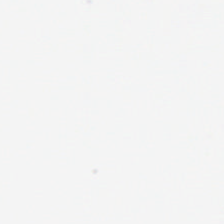Stain: H&E.
Content: background.
